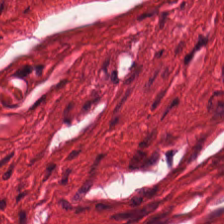Showing muscularis.
